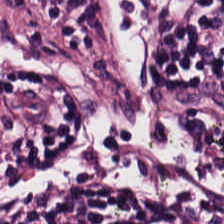FFPE · 224×224 pixel tile · H&E.
This patch shows lymphocyte aggregate.
